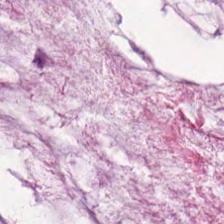This field is mucin.
